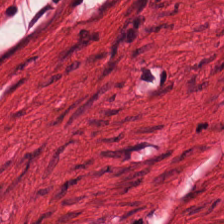Hematoxylin-and-eosin stained section · 224×224 px patch.
This field is smooth muscle.
